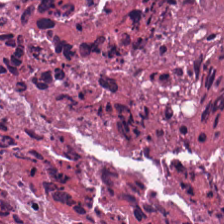Stain: H&E.
Tissue: debris.
